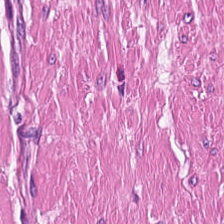Tissue — smooth-muscle tissue.
